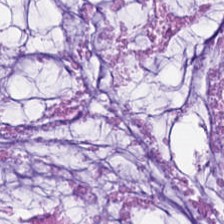H&E stain — The predominant tissue is mucin.
